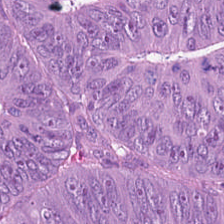224×224 pixel tile; H&E-stained tissue section — The tissue type is adenocarcinoma.
